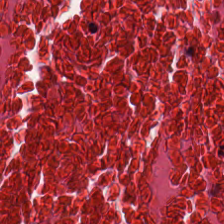Stain: H&E stain.
Classification: cellular debris.
